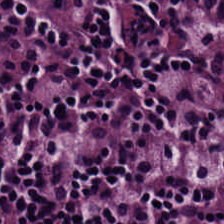H&E. 224×224 pixel tile — Q: Classify this patch.
A: The field shows lymphocyte aggregate.
